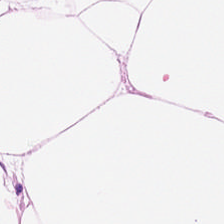Stain: hematoxylin and eosin.
Acquisition: brightfield microscopy.
Classification: adipose tissue.
